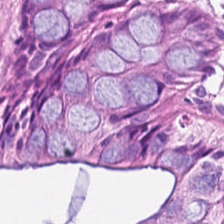Histology → benign colonic mucosa.
